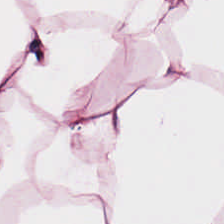H&E-stained tissue section.
The tissue class is adipocytes.
